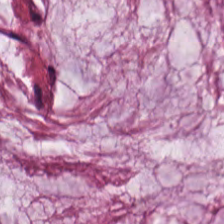H&E stain. Predominantly extracellular mucin.
